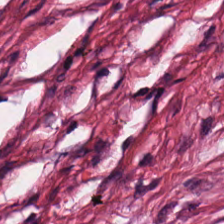Hematoxylin-and-eosin stained section — This patch shows tumor stroma.
